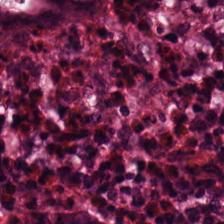H&E-stained tissue section.
Tissue: benign colonic mucosa.
